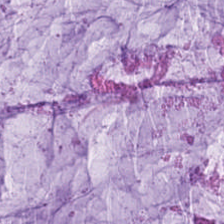This patch shows mucin.
